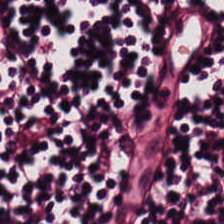Stain: H&E.
Tissue type: lymphocytes.
